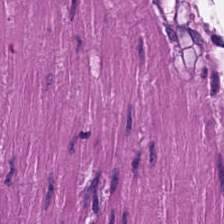WSI patch; hematoxylin and eosin — Q: What tissue is shown?
A: The field shows smooth-muscle tissue.
